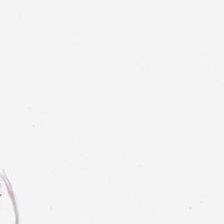No tissue present; background only.
